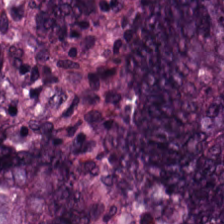Hematoxylin-and-eosin stained section.
Showing adenocarcinoma.
